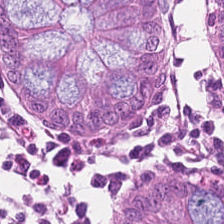FFPE. H&E stain.
Showing benign colonic mucosa.
